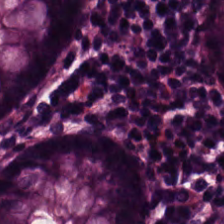Stain: H&E-stained tissue section.
Resolution: 20× equivalent magnification.
Tissue: benign colonic mucosa.
